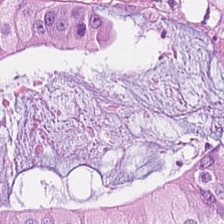Hematoxylin-and-eosin stained section. Showing colorectal adenocarcinoma.
